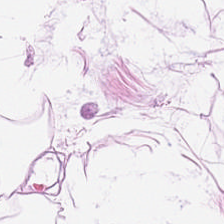WSI patch. H&E. 0.5 µm/px — Predominantly adipose tissue.
